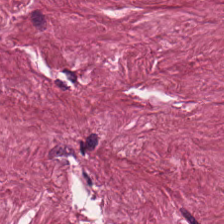Brightfield; FFPE; H&E-stained tissue section — Q: What tissue type is shown here?
A: Tumor-associated stroma.
